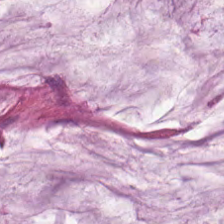H&E-stained tissue section.
This patch shows extracellular mucin.
